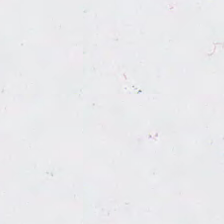WSI patch. Hematoxylin-and-eosin stained section. FFPE tissue section.
This field is background (no tissue).
